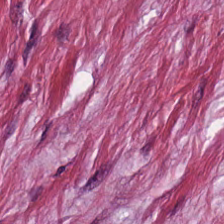Hematoxylin and eosin.
{"tissue_type": "cancer-associated stroma"}
